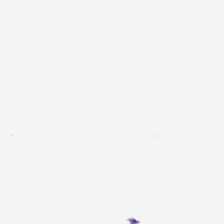0.5 µm per pixel. H&E. {"content": "no tissue"}
